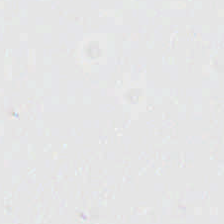Q: What is shown in this field?
A: This is background.
